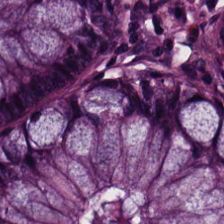Hematoxylin and eosin.
This patch shows non-neoplastic colon mucosa.
